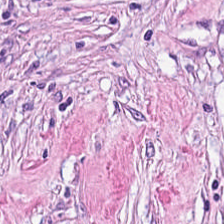The tissue here is tumor-associated stroma.
